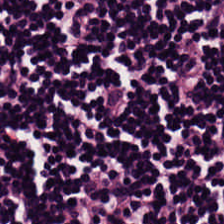Showing lymphocytes.
